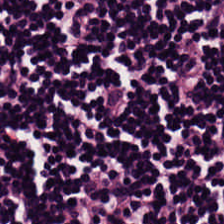Showing lymphocytes.
